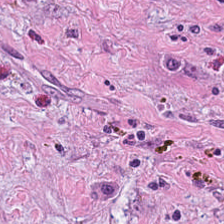H&E-stained tissue section showing cancer-associated stroma.
